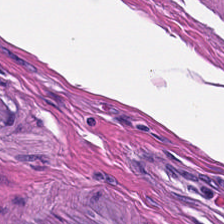H&E-stained tissue section.
Impression → muscularis.
